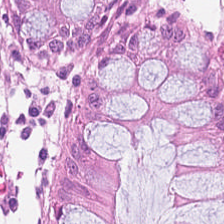H&E · 20× equivalent magnification — Normal colon mucosa.
